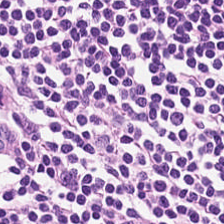This field is lymphocyte aggregate.
